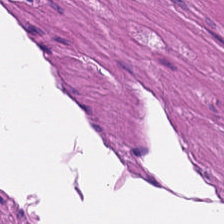Stain: H&E-stained tissue section.
Preparation: FFPE.
Acquisition: WSI patch.
Classification: smooth-muscle tissue.
